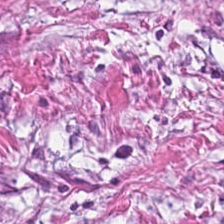Hematoxylin-and-eosin stained section. Impression — cancer-associated stroma.
